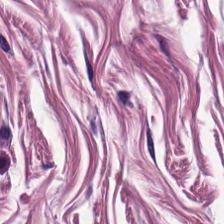H&E stain. Predominantly muscularis.
